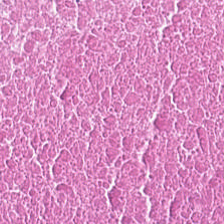H&E-stained tissue section showing cellular debris.
